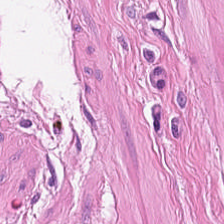Hematoxylin-and-eosin stained section · FFPE. Finding — muscularis.
